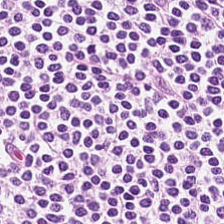H&E-stained tissue section — This patch shows lymphocytes.
